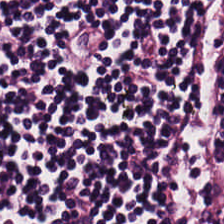Hematoxylin and eosin. Tissue type — lymphocyte aggregate.
